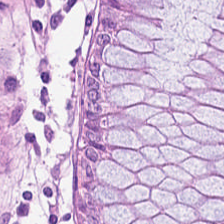224×224 pixel tile. Hematoxylin-and-eosin stained section. Tissue — normal colon mucosa.
